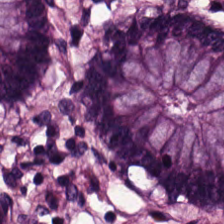H&E · 0.5 µm per pixel.
This patch shows benign colonic mucosa.
